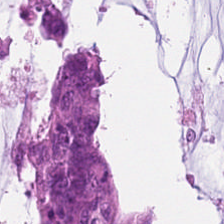Hematoxylin-and-eosin stained section — Q: What tissue is shown?
A: It is mucus.
